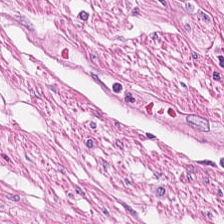Hematoxylin and eosin — This field is smooth-muscle tissue.
